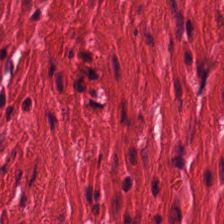The predominant tissue is muscularis.
